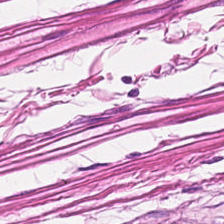Showing smooth-muscle tissue.
